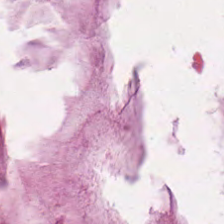Brightfield; FFPE; H&E-stained tissue section. Tissue: mucus.
